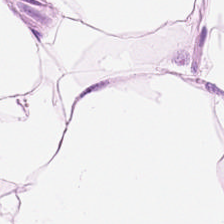H&E.
Classification: fat tissue.
